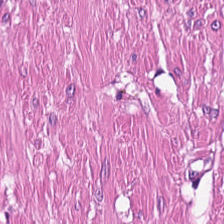Hematoxylin-and-eosin section: smooth-muscle tissue.
